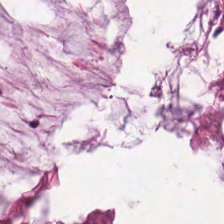H&E-stained tissue section — Tissue type: mucus.
